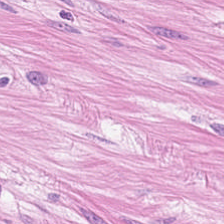Hematoxylin-and-eosin stained section. Predominantly smooth muscle.
